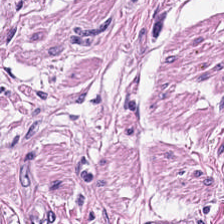FFPE; H&E; 0.5 µm/px.
Q: Identify the tissue.
A: It is smooth muscle.
